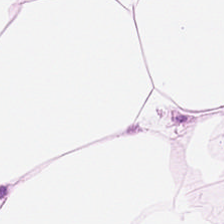H&E stain.
The tissue is adipose tissue.
